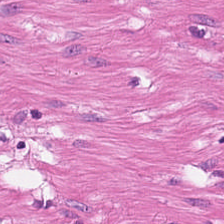WSI patch. 224×224 px tile. H&E-stained tissue section — This patch shows muscularis.
